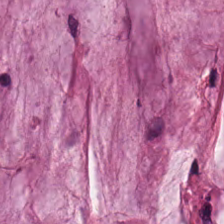Finding → extracellular mucin.
